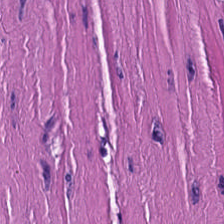The predominant tissue is muscularis.
